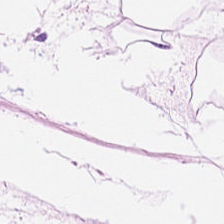Stain: H&E stain.
Preparation: FFPE tissue section.
Tile size: 224×224 px tile.
Tissue: fat tissue.
